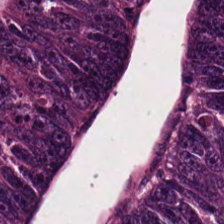H&E stain. 20× equivalent magnification. 224×224 px tile — Colorectal adenocarcinoma epithelium.
